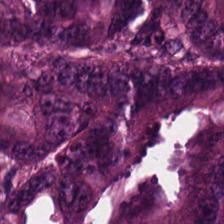H&E — Predominantly adenocarcinoma.
